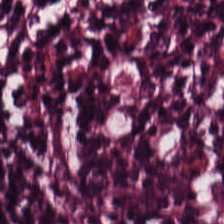The tissue here is lymphocytic infiltrate.
